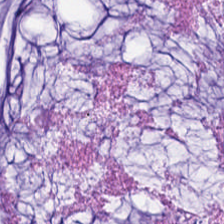Classification = mucin.
